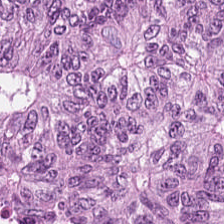Stain: H&E stain.
Classification: colorectal adenocarcinoma.
